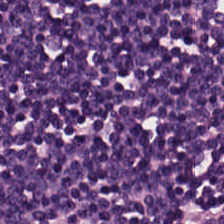0.5 µm/px · WSI patch · hematoxylin-and-eosin stained section — Q: What tissue is shown?
A: It is lymphoid infiltrate.
